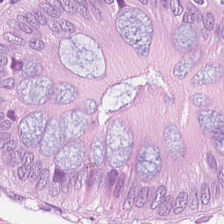H&E.
Tissue: benign colonic mucosa.
